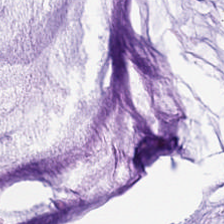Tissue class — mucin.
